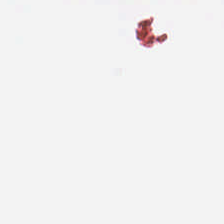H&E stain. Q: What is shown here?
A: The field shows empty background.
